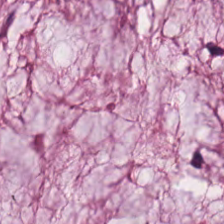Q: What tissue is shown?
A: This is mucin.
